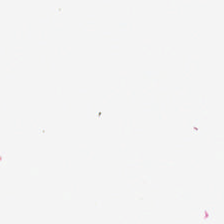H&E stain. FFPE tissue section — Q: What does this patch show?
A: This is background.
